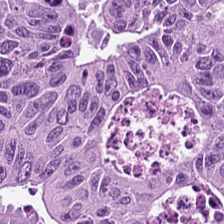Stain: H&E stain.
Acquisition: WSI patch.
Predominant tissue: adenocarcinoma.
